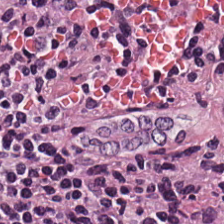Brightfield. Hematoxylin and eosin. Showing lymphocytic infiltrate.
